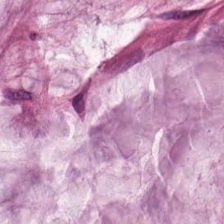The predominant tissue is mucin.
